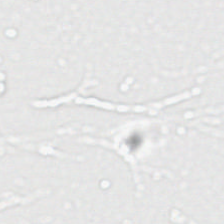Hematoxylin and eosin.
Impression → background.
